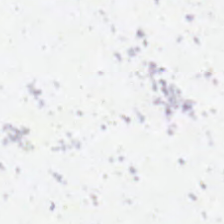Field content: background (no tissue).
